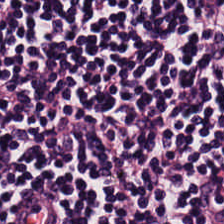Tissue class — lymphoid infiltrate.
